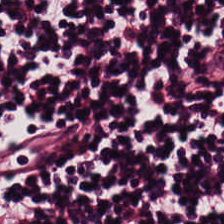H&E — Classification: lymphocytes.
